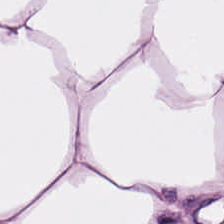Stain: hematoxylin-and-eosin stained section.
Acquisition: whole-slide-image patch.
Tissue type: adipocytes.
